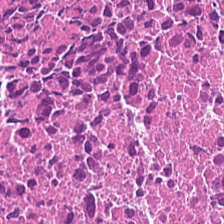H&E-stained section; the field shows necrotic debris.
